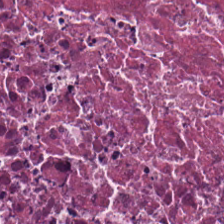Hematoxylin and eosin. Tissue = debris.
